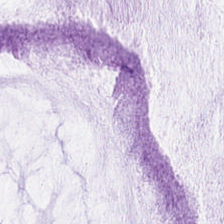Classification: extracellular mucin.
